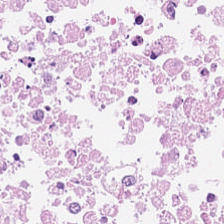H&E · FFPE — The predominant tissue is cellular debris.
